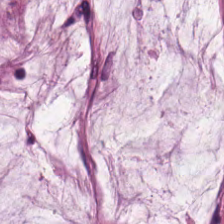Tissue class — extracellular mucin.
